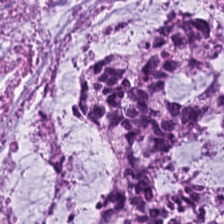H&E. 0.5 µm per pixel — Q: What type of tissue is this?
A: Mucin.
